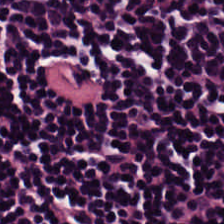Hematoxylin-and-eosin stained section. 224×224 px tile.
Showing lymphocytes.
